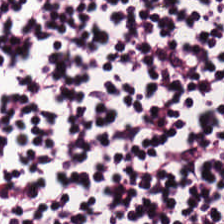Hematoxylin and eosin.
The predominant tissue is lymphocyte aggregate.
